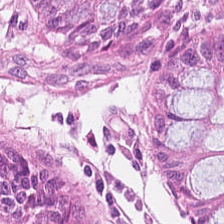Stain: H&E-stained tissue section.
Tissue type: non-neoplastic colon mucosa.
